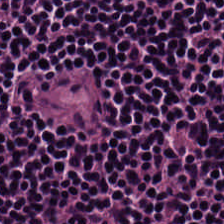Hematoxylin-and-eosin stained section — Q: What tissue type is shown here?
A: It is lymphocyte aggregate.
